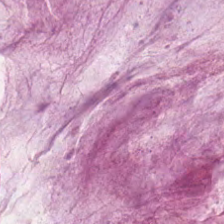Formalin-fixed paraffin-embedded section; hematoxylin-and-eosin stained section. Q: What type of tissue is this?
A: It is mucin.
